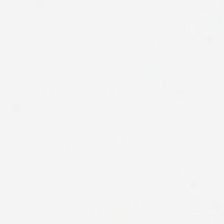Hematoxylin and eosin. 0.5 µm per pixel. Whole-slide-image patch.
This field is background (no tissue).
